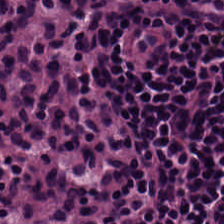20× equivalent magnification; hematoxylin and eosin.
Predominant tissue = lymphocyte aggregate.
